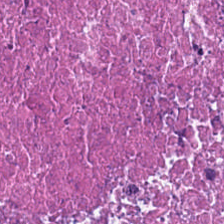Predominantly cellular debris.
